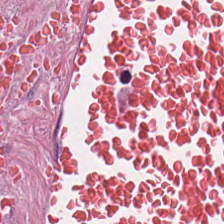WSI patch. Hematoxylin and eosin. 224×224 pixel tile — Q: What tissue type is shown here?
A: The field shows tumor-associated stroma.
